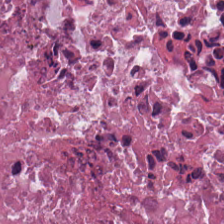H&E — The predominant tissue is necrotic debris.
